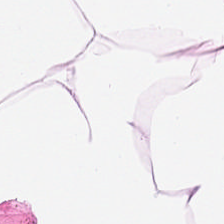Hematoxylin-and-eosin stained section. {"tissue_type": "adipose"}
